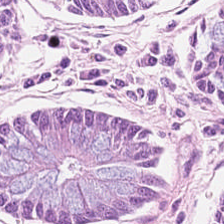H&E. FFPE tissue section. 0.5 microns per pixel — Tissue class = benign colonic mucosa.
